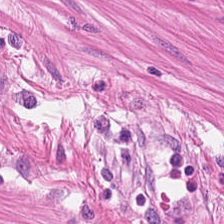Q: What tissue type is shown here?
A: Smooth muscle.
